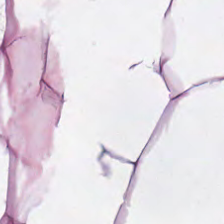Classification — fat tissue.
